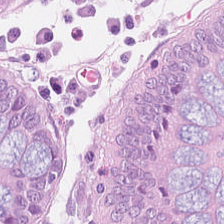224×224 px tile · hematoxylin-and-eosin stained section.
This field is normal colon mucosa.
